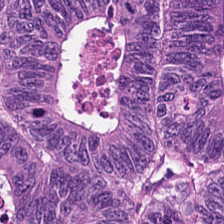Hematoxylin-and-eosin stained section.
This patch shows colorectal adenocarcinoma.
